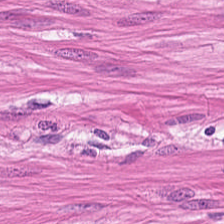Hematoxylin and eosin. The tissue is muscularis.
